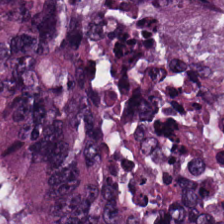This field is adenocarcinoma.
